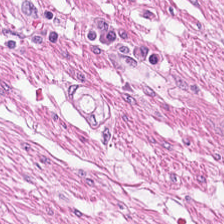224×224 pixel tile. Hematoxylin and eosin — Tissue — muscularis.
